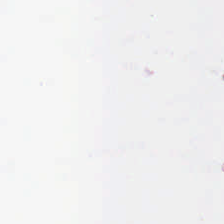Empty background.
